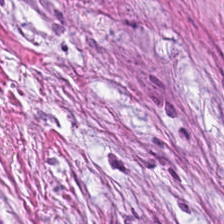224×224 px tile; H&E-stained tissue section — Tumor-associated stroma.
